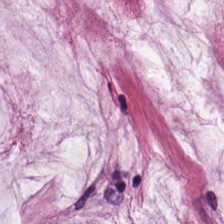Hematoxylin-and-eosin stained section. FFPE. 224×224 px patch.
Classification = extracellular mucin.
